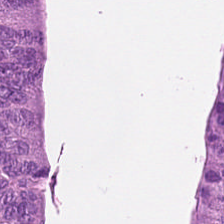224×224 px patch; H&E. Predominantly tumor epithelium.
